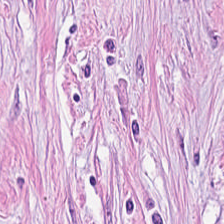Histology → desmoplastic stroma.
